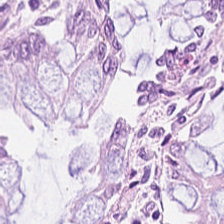H&E stain; 224×224 px tile. Predominant tissue: normal colonic mucosa.
